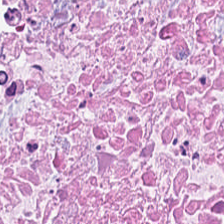H&E. This patch shows debris.
